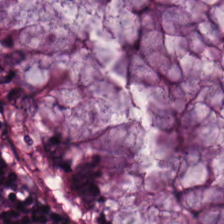This patch shows normal colonic mucosa.
